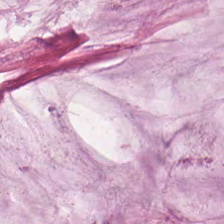20× equivalent magnification · 224×224 px tile · H&E. Q: What does this patch show?
A: It is extracellular mucin.
